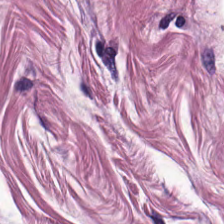Hematoxylin-and-eosin stained section; 224×224 px patch; brightfield microscopy. {"tissue_type": "smooth-muscle tissue"}
